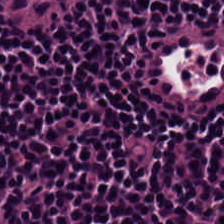FFPE tissue section; hematoxylin and eosin; 0.5 µm/px — Showing lymphocytic infiltrate.
